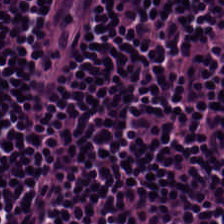Q: Classify this patch.
A: This is lymphocytic infiltrate.
